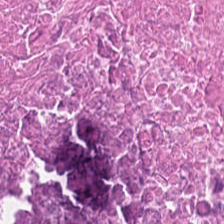Stain: H&E.
Tile size: 224×224 pixel tile.
Tissue class: necrotic debris.
